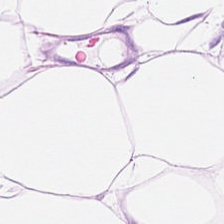Tissue type = adipose tissue.
